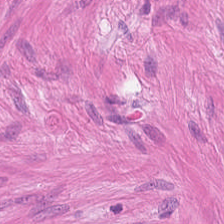0.5 µm per pixel; FFPE; H&E stain.
This field is smooth muscle.
